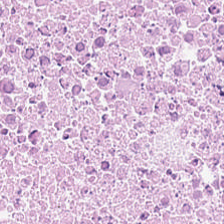0.5 µm/px; hematoxylin and eosin.
Q: Identify the tissue.
A: This is cellular debris.
